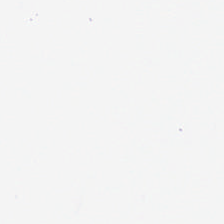224×224 px patch; H&E-stained tissue section. No tissue present; background only.
